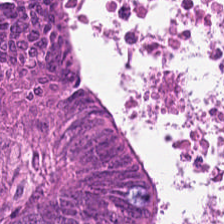Hematoxylin and eosin. Predominant tissue — malignant epithelium.
